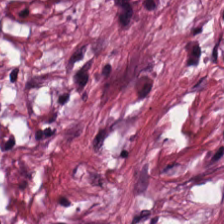224×224 px patch · formalin-fixed paraffin-embedded section · hematoxylin and eosin. The predominant tissue is tumor-associated stroma.
